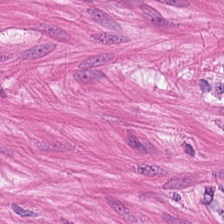H&E. Muscularis.
